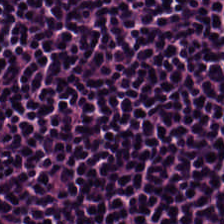Stain: H&E.
Predominant tissue: lymphocyte aggregate.
